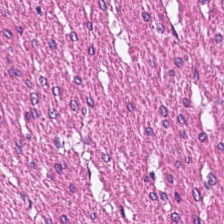Hematoxylin and eosin — Q: What is shown in this field?
A: It is smooth muscle.
